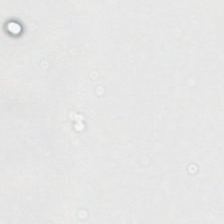Stain: hematoxylin-and-eosin stained section.
Classification: empty background.
